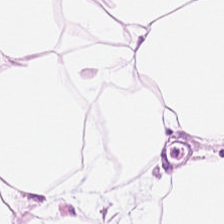Hematoxylin and eosin.
This patch shows fat tissue.
